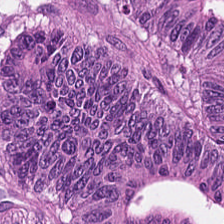H&E stain; FFPE tissue section. Tissue — colorectal adenocarcinoma.
